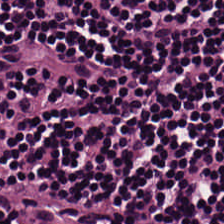Hematoxylin and eosin — The tissue here is lymphoid infiltrate.
